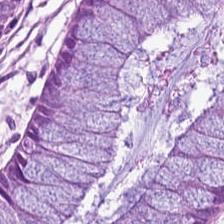FFPE. 20× equivalent magnification. H&E stain.
The predominant tissue is non-neoplastic colon mucosa.
